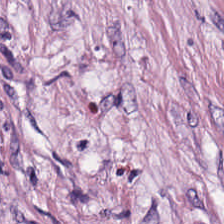224×224 px tile · H&E stain · 0.5 µm/px.
Classification: tumor stroma.
